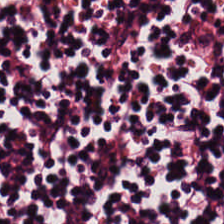Hematoxylin-and-eosin stained section. The predominant tissue is lymphocytic infiltrate.
